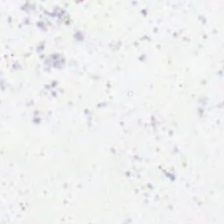Stain: hematoxylin and eosin.
Classification: background.
